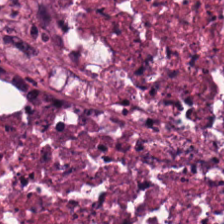Tissue: debris.
